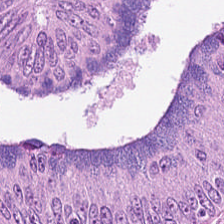Q: What is the predominant tissue type?
A: The field shows tumor epithelium.
